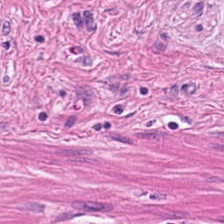Hematoxylin and eosin — The predominant tissue is muscularis.
